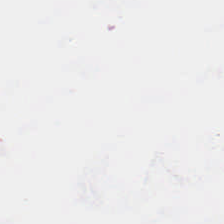Classification: empty background.
